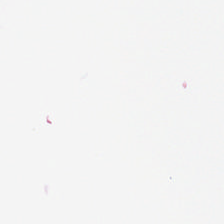FFPE · H&E-stained tissue section — Field content: background (no tissue).
